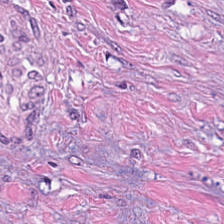0.5 microns per pixel. H&E. Classification: tumor stroma.
